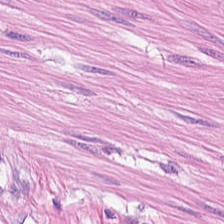H&E-stained tissue section — Finding — smooth muscle.
